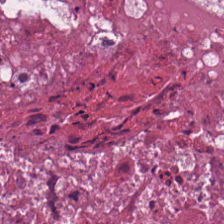Hematoxylin-and-eosin stained section. WSI patch — This field is debris.
